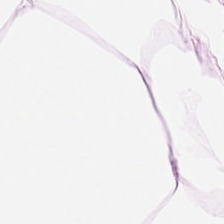H&E-stained tissue section — Showing fat tissue.
